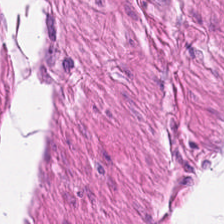H&E. Classification — smooth-muscle tissue.
